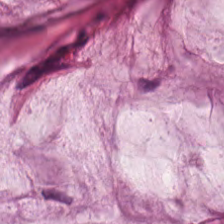Stain: H&E-stained tissue section.
Tissue class: mucus.
